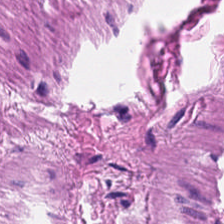H&E stain · whole-slide-image patch.
{"tissue_type": "smooth muscle"}
